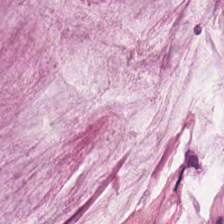Mucus.
